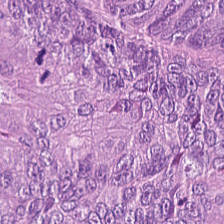H&E-stained tissue section. 0.5 µm per pixel — Histology → adenocarcinoma.
